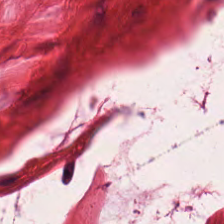Q: Identify the tissue.
A: It is smooth muscle.
